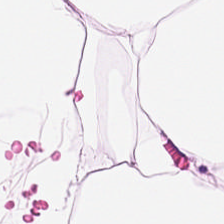Stain: hematoxylin and eosin.
Classification: fat tissue.
